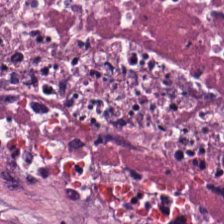Stain: H&E stain.
Acquisition: brightfield.
Tissue class: necrotic debris.
